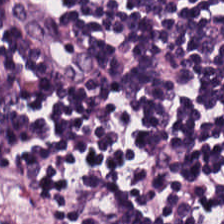224×224 px tile; H&E stain — {"tissue_type": "lymphocytic infiltrate"}
